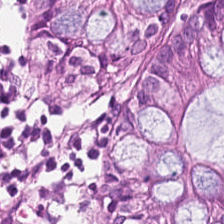Hematoxylin-and-eosin stained section — The classification is non-neoplastic colon mucosa.
